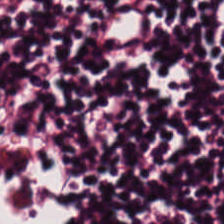Brightfield · H&E-stained tissue section.
This patch shows lymphoid infiltrate.
